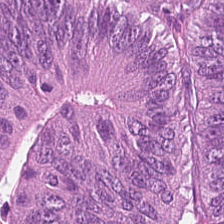H&E-stained tissue section · WSI patch · formalin-fixed paraffin-embedded section.
Malignant epithelium.
